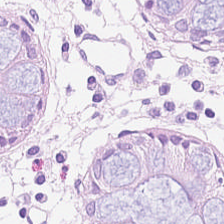Hematoxylin and eosin. Impression — normal colonic mucosa.
